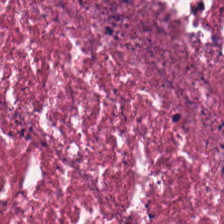Hematoxylin-and-eosin stained section — The predominant tissue is necrotic debris.
